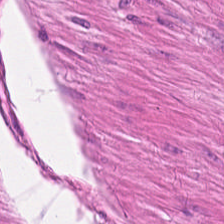Hematoxylin and eosin. Tissue class = muscularis.
